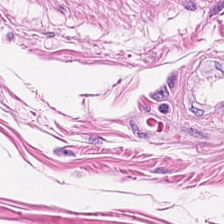0.5 microns per pixel; hematoxylin-and-eosin stained section — Showing smooth-muscle tissue.
